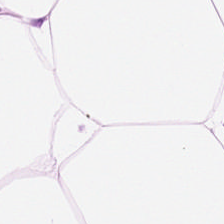Stain: H&E.
Tissue type: adipose.
